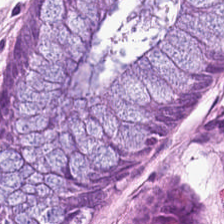H&E-stained tissue section.
Showing non-neoplastic colon mucosa.
